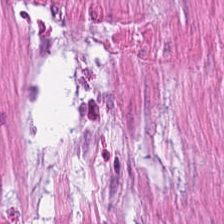Q: What is shown here?
A: Muscularis.
